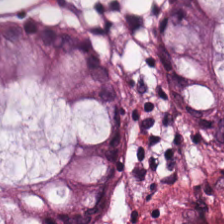H&E. Impression — normal colon mucosa.
